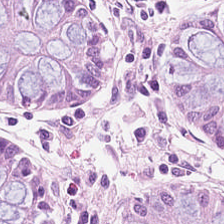Hematoxylin-and-eosin stained section.
{"tissue_type": "benign colonic mucosa"}
